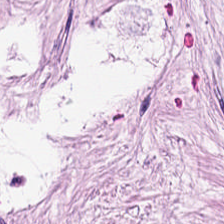Stain: H&E stain.
Preparation: FFPE.
Classification: cancer-associated stroma.
